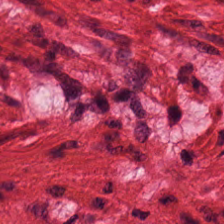Hematoxylin-and-eosin stained section — Histology — smooth muscle.
